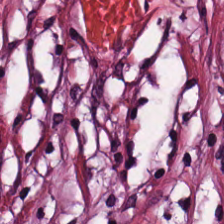FFPE tissue section. H&E stain.
This field is tumor stroma.
